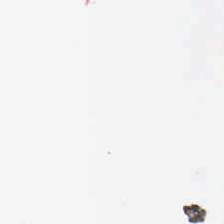Stain: H&E.
Classification: no tissue.
